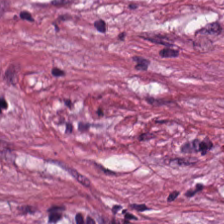H&E; brightfield microscopy — Cancer-associated stroma.
